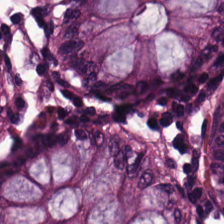Formalin-fixed paraffin-embedded section; hematoxylin-and-eosin stained section. Showing non-neoplastic colon mucosa.
